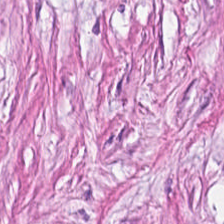FFPE tissue section. Brightfield. Hematoxylin-and-eosin stained section.
Desmoplastic stroma.
